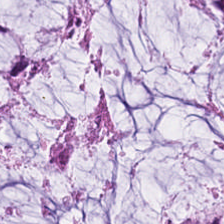Stain: hematoxylin and eosin.
Tissue class: mucin.
